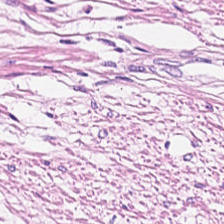H&E. {"tissue_type": "smooth muscle"}
